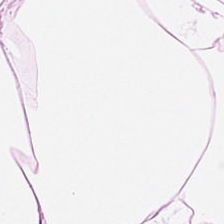The predominant tissue is adipose.
